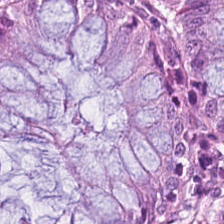20× equivalent magnification; hematoxylin-and-eosin stained section; 224×224 px patch. The predominant tissue is normal colonic mucosa.
